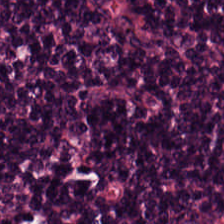Hematoxylin-and-eosin stained section. FFPE — Predominant tissue — lymphoid infiltrate.
